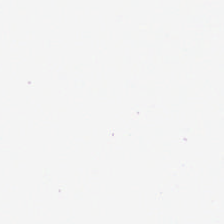This field is background (no tissue).
